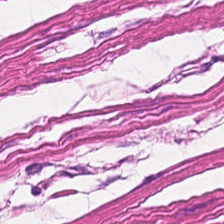H&E patch showing smooth-muscle tissue.
